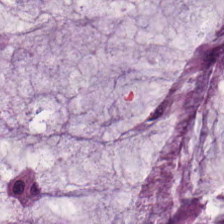H&E stain.
Predominant tissue: mucin.
